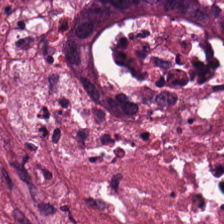Predominant tissue = cellular debris.
